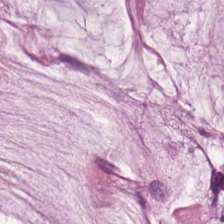H&E. 0.5 µm per pixel — This patch shows mucin.
